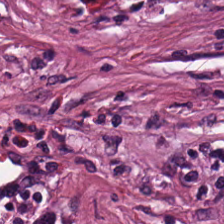H&E stain. {"tissue_type": "tumor stroma"}
